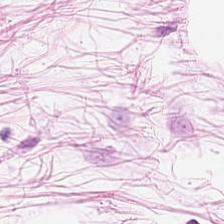Hematoxylin and eosin; FFPE tissue section.
Adipose tissue.
